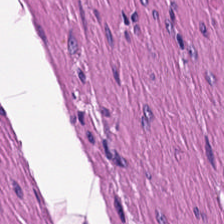H&E; 224×224 px patch; formalin-fixed paraffin-embedded section.
Smooth muscle.
